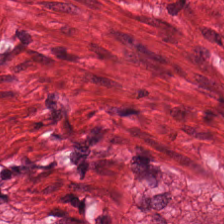Hematoxylin-and-eosin stained section; formalin-fixed paraffin-embedded section; 0.5 µm per pixel. The tissue type is smooth muscle.
